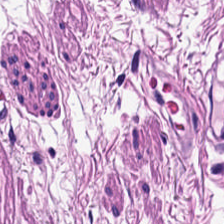H&E-stained tissue section; 0.5 microns per pixel.
Tissue type — smooth-muscle tissue.
